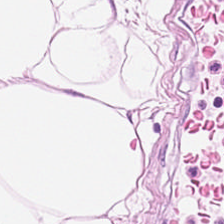Stain: H&E.
Preparation: formalin-fixed paraffin-embedded section.
Tile size: 224×224 px tile.
Predominant tissue: adipose tissue.
